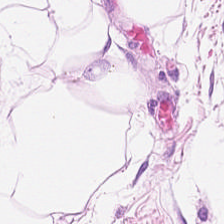H&E.
This field is adipocytes.
